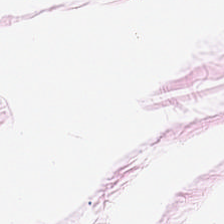H&E · whole-slide-image patch — Adipocytes.
